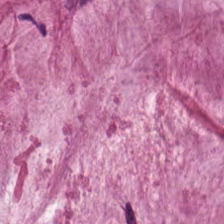Stain: H&E-stained tissue section.
Tile size: 224×224 px tile.
Tissue type: mucus.
